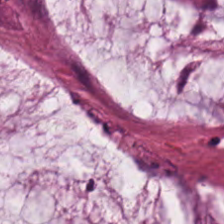Brightfield; H&E; FFPE. This patch shows mucus.
